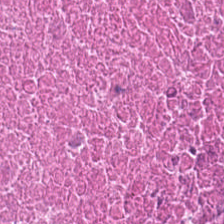224×224 px patch; hematoxylin and eosin.
Q: What type of tissue is this?
A: This is cellular debris.
